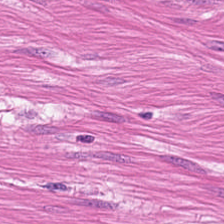Hematoxylin and eosin — This field is smooth muscle.
